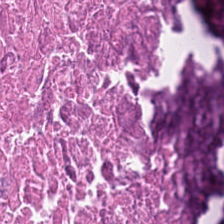H&E.
{"tissue_type": "cellular debris"}
